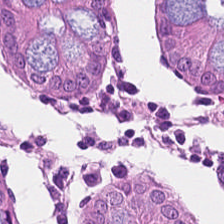H&E — Q: What is the predominant tissue type?
A: The field shows benign colonic mucosa.
